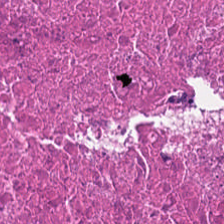H&E · 224×224 px patch.
Classification = necrotic debris.
